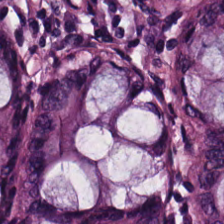Stain: hematoxylin and eosin.
Tissue type: benign colonic mucosa.
